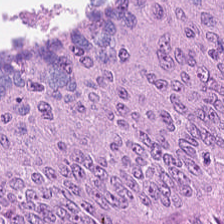FFPE tissue section · 224×224 px patch · H&E.
Predominant tissue — malignant epithelium.
